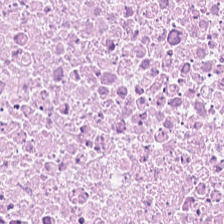Stain: H&E.
Preparation: formalin-fixed paraffin-embedded section.
Acquisition: WSI patch.
Tissue: necrotic debris.
